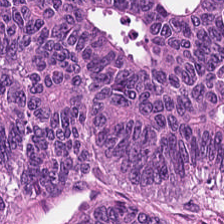This field is malignant epithelium.
